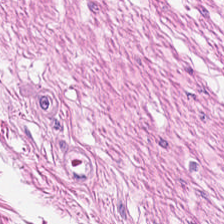Tissue class: smooth muscle.
